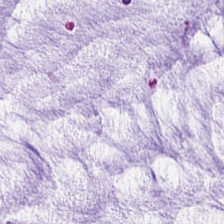Hematoxylin-and-eosin stained section. WSI patch. The predominant tissue is mucin.
